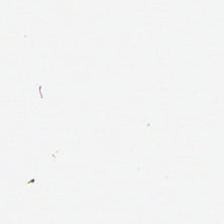H&E. Background — no tissue in this field.
